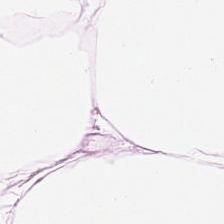Q: Identify the tissue.
A: Adipose tissue.
